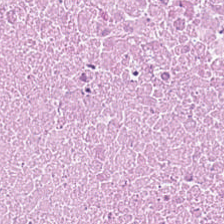H&E-stained section; the field shows debris.
